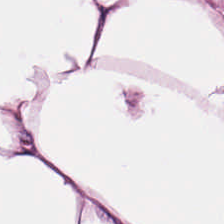Hematoxylin-and-eosin stained section; brightfield microscopy. Finding → adipose tissue.
